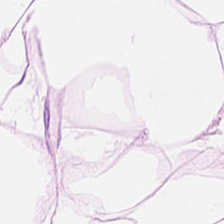Stain: H&E-stained tissue section.
Resolution: 0.5 µm per pixel.
Tissue class: adipocytes.
